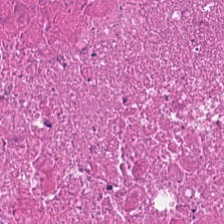H&E — Q: What does this patch show?
A: It is necrotic debris.
